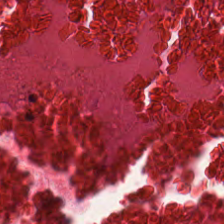Hematoxylin and eosin — Q: Classify this patch.
A: Cellular debris.
